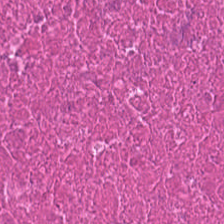Impression → cellular debris.
